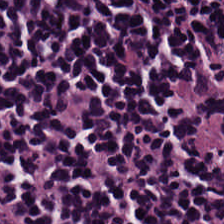224×224 px tile. Hematoxylin-and-eosin stained section — The tissue class is lymphocytic infiltrate.
